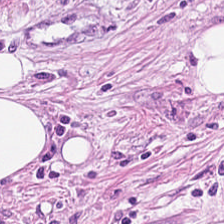Hematoxylin-and-eosin stained section.
Classification: tumor stroma.
